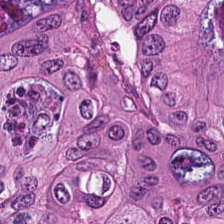H&E-stained tissue section; brightfield — Finding → colorectal adenocarcinoma epithelium.
